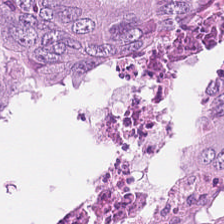H&E · 224×224 px tile.
Finding — colorectal adenocarcinoma.
